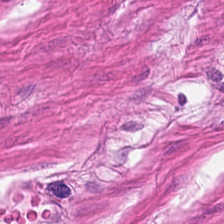H&E — {"tissue_type": "smooth-muscle tissue"}
